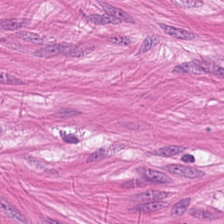H&E-stained tissue section showing smooth muscle.
